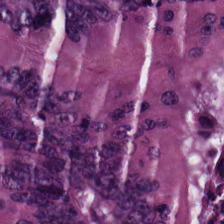Impression → colorectal adenocarcinoma epithelium.
